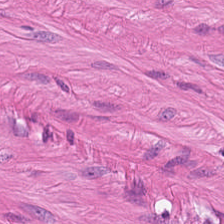Hematoxylin and eosin — Q: What is shown here?
A: This is muscularis.
